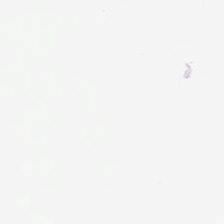H&E · 0.5 µm per pixel · brightfield. Background — no tissue in this field.
